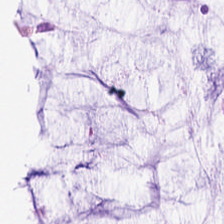H&E stain — The tissue here is mucus.
